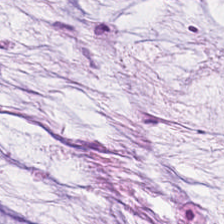H&E — This field is mucus.
